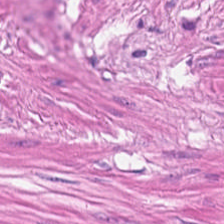0.5 microns per pixel; H&E-stained tissue section — Showing smooth-muscle tissue.
